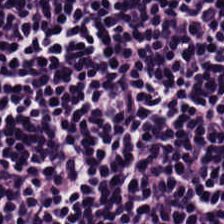224×224 px tile; H&E-stained tissue section.
Lymphoid infiltrate.
